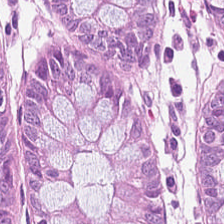224×224 px patch. H&E. WSI patch — Classification = normal colon mucosa.
